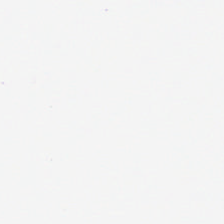Impression — background.
